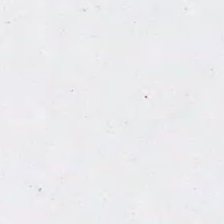Hematoxylin and eosin; 20× equivalent magnification — Classification = no tissue.
